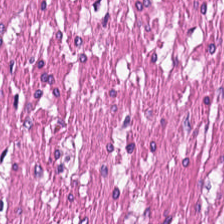H&E. Finding — muscularis.
